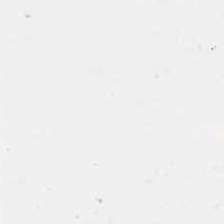FFPE tissue section · H&E stain — Content = no tissue.
